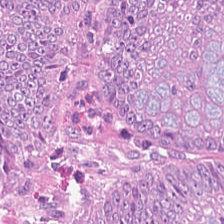Q: Classify this patch.
A: This is colorectal adenocarcinoma.
